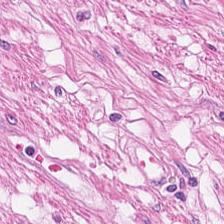H&E stain — The tissue type is smooth-muscle tissue.
